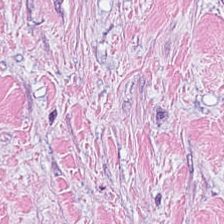FFPE tissue section; hematoxylin and eosin. Tissue type: cancer-associated stroma.
